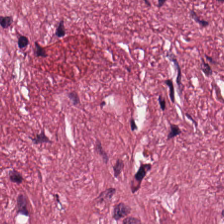H&E-stained tissue section.
Tissue class = desmoplastic stroma.
